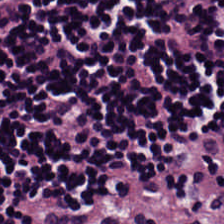Hematoxylin-and-eosin stained section; 20× equivalent magnification.
The predominant tissue is lymphocytes.
